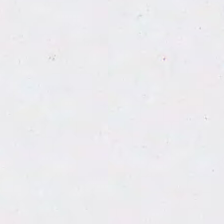Stain: H&E stain.
Field content: no tissue.
